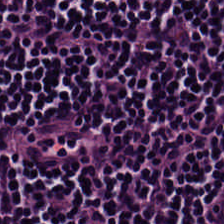Hematoxylin-and-eosin stained section; 0.5 µm/px — The tissue type is lymphocytic infiltrate.
